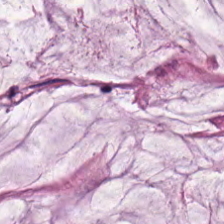Stain: H&E stain.
Tissue type: mucus.
